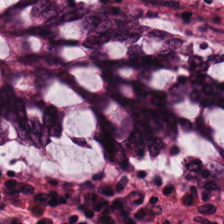Hematoxylin and eosin · 224×224 pixel tile. This patch shows non-neoplastic colon mucosa.
